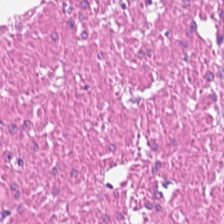FFPE tissue section. 20× equivalent magnification. Hematoxylin-and-eosin stained section.
This patch shows smooth-muscle tissue.
